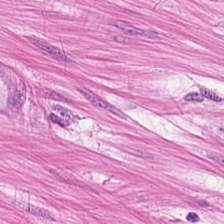Stain: H&E.
Tissue type: muscularis.
